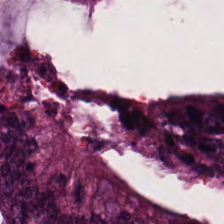0.5 microns per pixel. 224×224 px patch. H&E stain. {"tissue_type": "malignant epithelium"}
